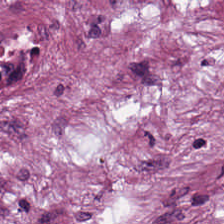H&E. 224×224 pixel tile — {"tissue_type": "cancer-associated stroma"}
